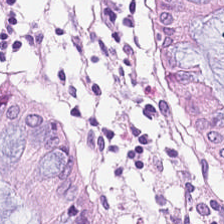Hematoxylin-and-eosin stained section.
The tissue class is non-neoplastic colon mucosa.
